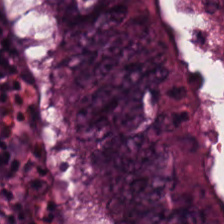Q: What is the predominant tissue type?
A: Tumor epithelium.
